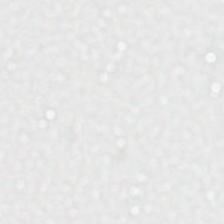H&E-stained tissue section.
No tissue.
